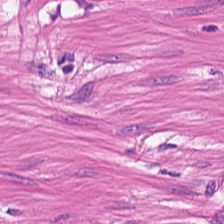0.5 µm/px; H&E stain. Histology — smooth-muscle tissue.
